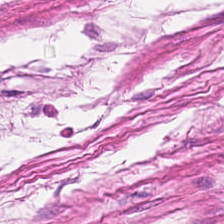H&E-stained tissue section showing smooth muscle.
